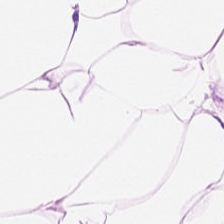Formalin-fixed paraffin-embedded section. H&E-stained tissue section — Tissue type: adipose tissue.
